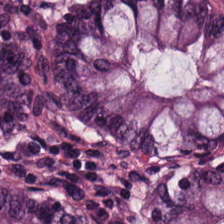H&E stain. Tissue type: normal colonic mucosa.
